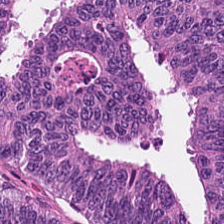Whole-slide-image patch. H&E — Predominant tissue: malignant epithelium.
